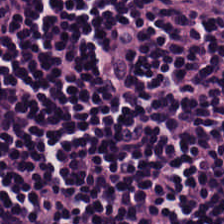FFPE tissue section. Hematoxylin-and-eosin stained section. 0.5 microns per pixel — Lymphocytes.
